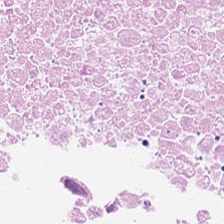H&E-stained tissue section · 224×224 px patch.
Q: What tissue type is shown here?
A: Debris.
